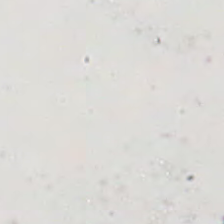Hematoxylin and eosin. {"content": "background"}
